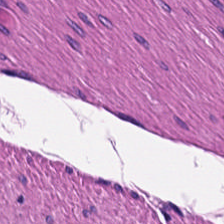H&E; brightfield.
Q: What is shown in this field?
A: The field shows smooth muscle.
